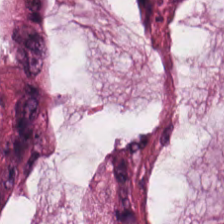H&E stain. Q: What is shown in this field?
A: This is extracellular mucin.
